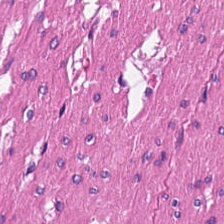224×224 pixel tile; H&E.
The predominant tissue is muscularis.
